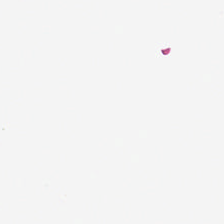Hematoxylin-and-eosin stained section; 224×224 px tile — This field is background (no tissue).
